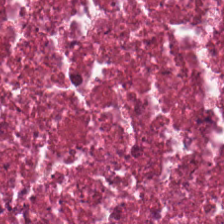Stain: H&E stain.
Tissue type: necrotic debris.
